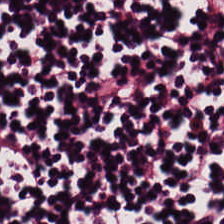H&E. This field is lymphocytic infiltrate.
